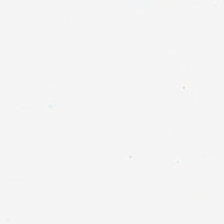H&E-stained tissue section. No tissue present; background only.
